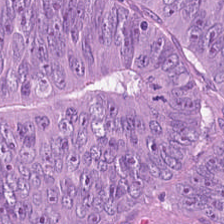Stain: hematoxylin and eosin.
Tissue type: adenocarcinoma.
